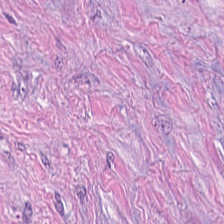H&E-stained tissue section showing tumor stroma.
